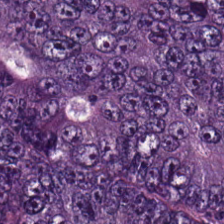Brightfield microscopy; FFPE tissue section; H&E — Showing adenocarcinoma.
